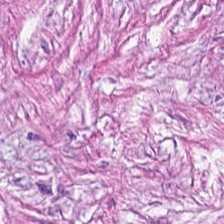H&E — Impression → tumor-associated stroma.
